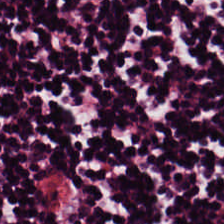Formalin-fixed paraffin-embedded section. 224×224 px tile. Hematoxylin and eosin. Impression — lymphocytes.
